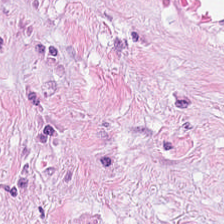H&E. WSI patch. Formalin-fixed paraffin-embedded section.
This field is cancer-associated stroma.
